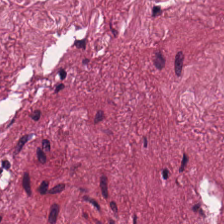H&E stain · 224×224 px patch.
Tumor-associated stroma.
